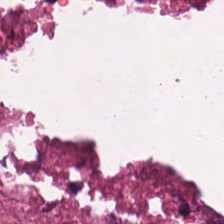H&E · 224×224 pixel tile — Showing debris.
